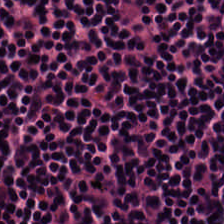Stain: hematoxylin and eosin.
Tissue: lymphocyte aggregate.
